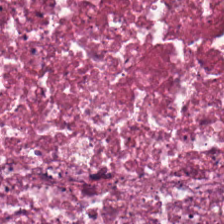H&E stain.
The predominant tissue is debris.
